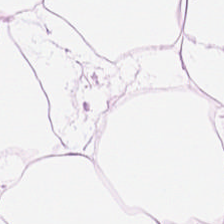{"tissue_type": "adipose"}
